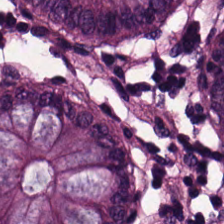224×224 px patch. FFPE. Hematoxylin and eosin — Impression — benign colonic mucosa.
